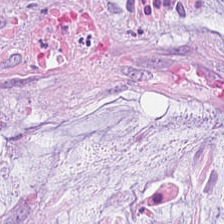224×224 px patch; brightfield; H&E — Tissue type: mucus.
